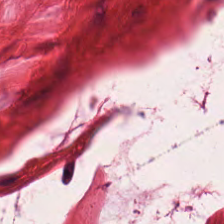H&E stain.
Showing smooth muscle.
